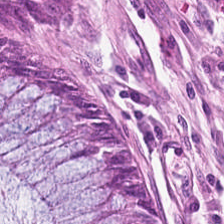Stain: hematoxylin-and-eosin stained section.
Acquisition: brightfield.
Tissue class: benign colonic mucosa.
